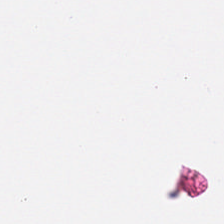Stain: H&E-stained tissue section.
Content: background.
